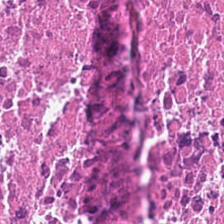Hematoxylin-and-eosin stained section. 0.5 µm per pixel. 224×224 pixel tile. This field is debris.
